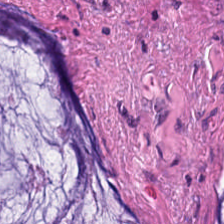Finding — mucin.
